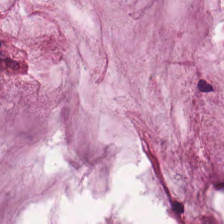H&E-stained tissue section. {"tissue_type": "extracellular mucin"}
